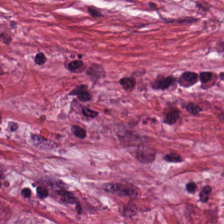The tissue class is cancer-associated stroma.
